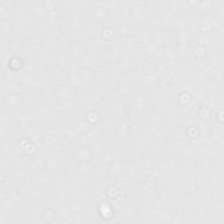H&E stain.
This field is background (no tissue).
